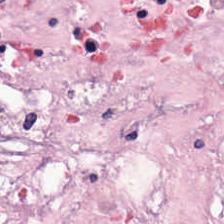Hematoxylin and eosin; formalin-fixed paraffin-embedded section. Histology — tumor stroma.
